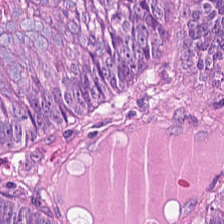H&E.
This field is tumor epithelium.
